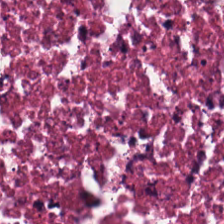H&E.
Tissue class: debris.
